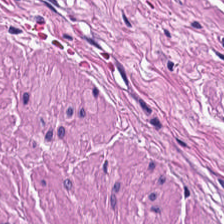H&E stain.
Predominantly smooth muscle.
